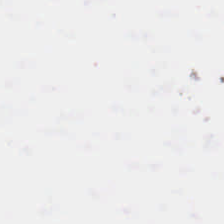Whole-slide-image patch. Hematoxylin and eosin. 224×224 pixel tile — No tissue present; background only.
